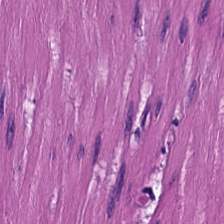H&E; 224×224 px patch; WSI patch — Histology → smooth muscle.
